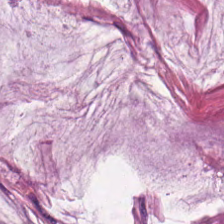H&E.
Q: What does this patch show?
A: The field shows mucin.
